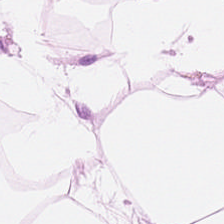H&E stain.
This field is adipose tissue.
